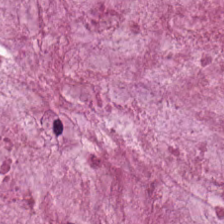Stain: H&E stain.
Tissue: mucus.
